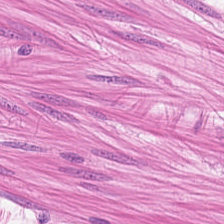224×224 px patch; hematoxylin-and-eosin stained section.
{"tissue_type": "smooth muscle"}
